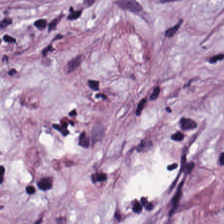Hematoxylin and eosin. The predominant tissue is tumor-associated stroma.
